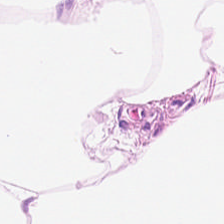Formalin-fixed paraffin-embedded section; hematoxylin-and-eosin stained section — Q: What does this patch show?
A: Adipose tissue.
